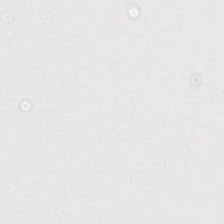The content is background (no tissue).
